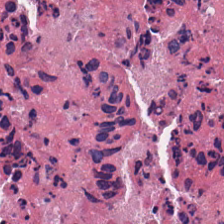Tissue type — debris.
